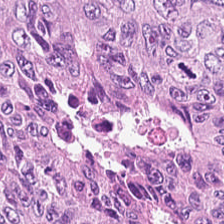H&E stain. Brightfield. 0.5 µm/px.
Showing tumor epithelium.
